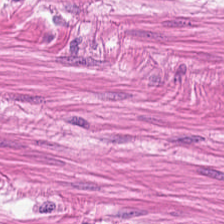H&E — Finding → smooth-muscle tissue.
